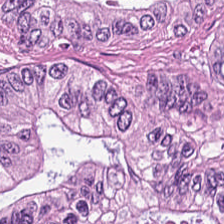Whole-slide-image patch; hematoxylin-and-eosin stained section; 224×224 pixel tile — This field is malignant epithelium.
